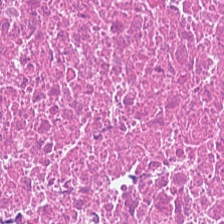H&E-stained tissue section. Tissue = cellular debris.
